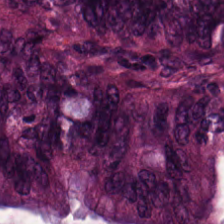H&E.
The tissue class is tumor epithelium.
